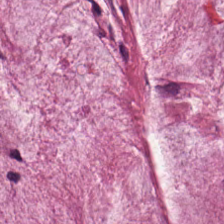H&E — extracellular mucin.
